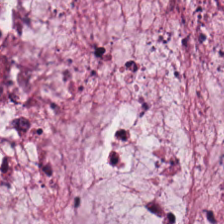Hematoxylin and eosin. 224×224 px tile — Extracellular mucin.
